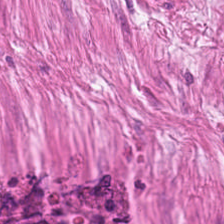Hematoxylin-and-eosin stained section — The predominant tissue is muscularis.
